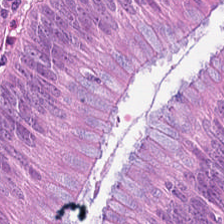Stain: H&E-stained tissue section.
Tissue class: adenocarcinoma.
